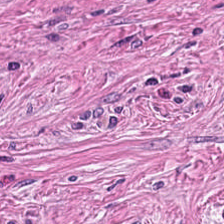Hematoxylin-and-eosin stained section; 224×224 px patch; brightfield — Predominant tissue — tumor-associated stroma.
